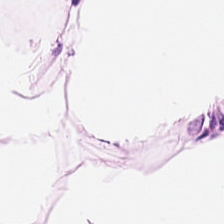224×224 pixel tile. Hematoxylin and eosin — Showing adipocytes.
